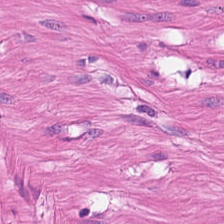Hematoxylin-and-eosin stained section. Smooth muscle.
